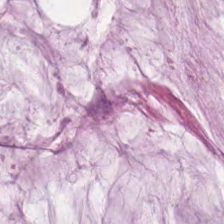H&E-stained tissue section showing mucin.
